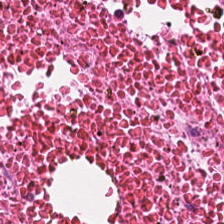Q: What is shown here?
A: The field shows debris.
